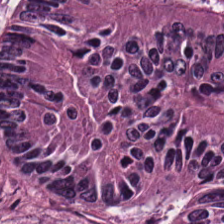FFPE tissue section; H&E stain. Predominant tissue: adenocarcinoma.
